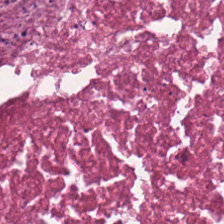224×224 px patch · H&E stain. This patch shows necrotic debris.
